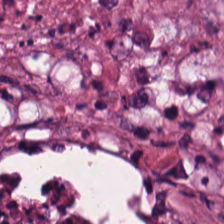This patch shows cellular debris.
